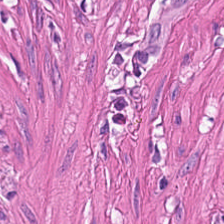H&E-stained tissue section. Predominantly smooth muscle.
